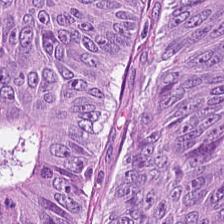Q: What type of tissue is this?
A: Tumor epithelium.
